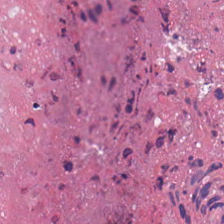Necrotic debris.
